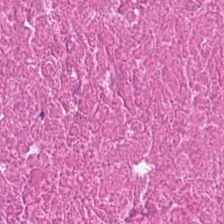H&E stain; 224×224 pixel tile — Histology — debris.
